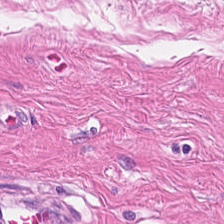H&E-stained tissue section. Q: What does this patch show?
A: Smooth muscle.
